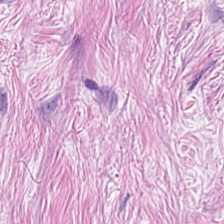Q: Classify this patch.
A: It is tumor stroma.
